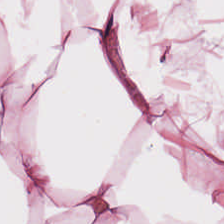H&E stain — The tissue type is fat tissue.
